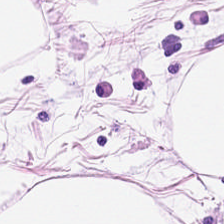Stain: H&E-stained tissue section.
Acquisition: whole-slide-image patch.
Resolution: 0.5 microns per pixel.
Tissue class: fat tissue.
